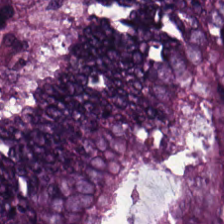H&E stain. Whole-slide-image patch. This patch shows colorectal adenocarcinoma.
